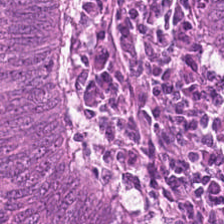FFPE; 20× equivalent magnification; hematoxylin and eosin — Tissue class — colorectal adenocarcinoma epithelium.
